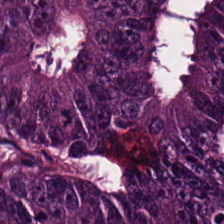224×224 px tile. 0.5 µm per pixel. H&E stain — Impression — tumor epithelium.
